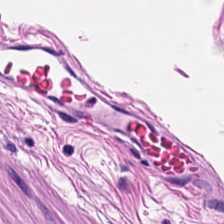Hematoxylin and eosin; 0.5 µm/px — Q: What is the predominant tissue type?
A: The field shows smooth-muscle tissue.
